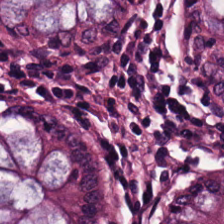20× equivalent magnification · H&E stain · formalin-fixed paraffin-embedded section.
Predominantly normal colonic mucosa.
